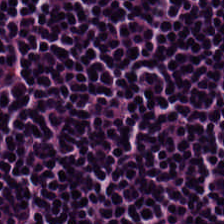FFPE tissue section · 224×224 px tile · H&E stain.
{"tissue_type": "lymphocytes"}
